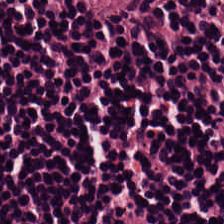Hematoxylin-and-eosin stained section · 224×224 pixel tile. This field is lymphocyte aggregate.
